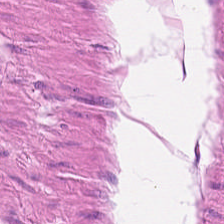H&E; formalin-fixed paraffin-embedded section; 0.5 µm per pixel. Tissue class = smooth-muscle tissue.
